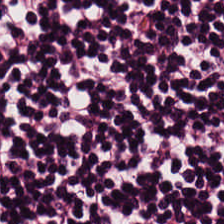H&E-stained tissue section. The predominant tissue is lymphocytic infiltrate.
